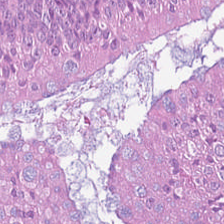Hematoxylin-and-eosin stained section; 0.5 µm/px; formalin-fixed paraffin-embedded section. Q: What tissue type is shown here?
A: The field shows tumor epithelium.
